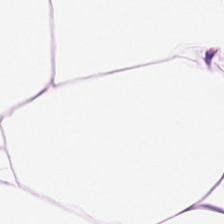0.5 microns per pixel · hematoxylin and eosin · whole-slide-image patch.
This field is fat tissue.
